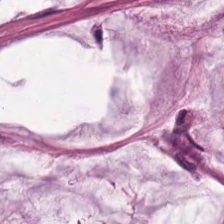Stain: H&E stain.
Tile size: 224×224 pixel tile.
Resolution: 20× equivalent magnification.
Classification: extracellular mucin.
